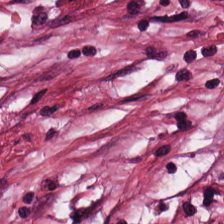H&E-stained tissue section — {"tissue_type": "desmoplastic stroma"}
